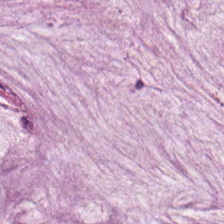Hematoxylin-and-eosin section: extracellular mucin.
